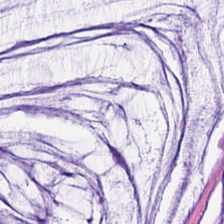Stain: H&E stain.
Resolution: 0.5 µm per pixel.
Tissue: mucin.
